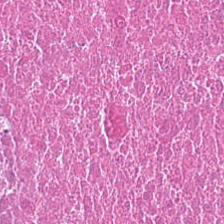{"tissue_type": "debris"}
